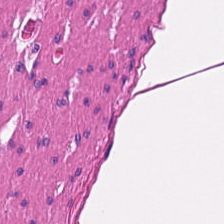H&E · 224×224 px tile. Histology → smooth muscle.
